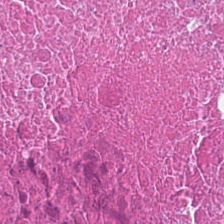Impression — cellular debris.
